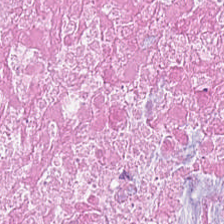H&E stain. Tissue class = cellular debris.
